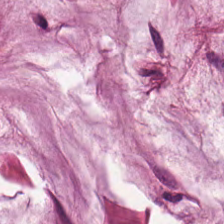{"tissue_type": "mucus"}
